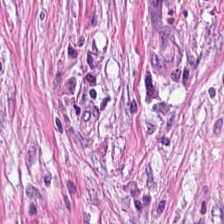Hematoxylin-and-eosin stained section — Tissue class — desmoplastic stroma.
